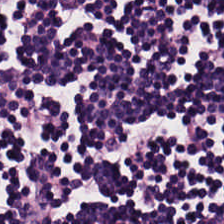Lymphoid infiltrate.
